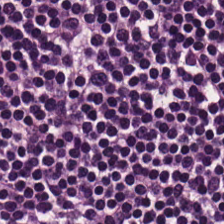H&E stain. 20× equivalent magnification. 224×224 pixel tile. Q: What is shown here?
A: The field shows lymphocyte aggregate.
